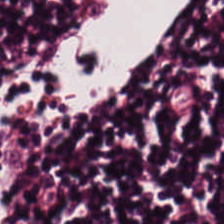Hematoxylin-and-eosin stained section · brightfield microscopy.
Impression → lymphoid infiltrate.
